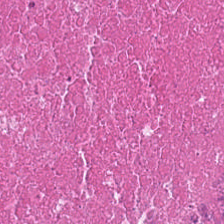WSI patch. H&E-stained tissue section.
Predominantly cellular debris.
